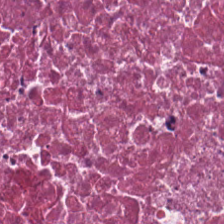Brightfield microscopy · hematoxylin and eosin · 224×224 pixel tile — Q: What type of tissue is this?
A: Cellular debris.
